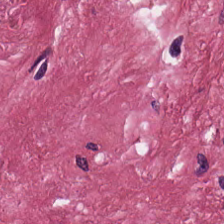Hematoxylin-and-eosin stained section · formalin-fixed paraffin-embedded section — {"tissue_type": "cancer-associated stroma"}
